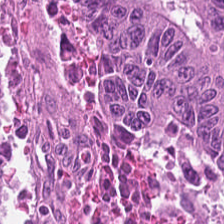Hematoxylin-and-eosin stained section.
Histology → adenocarcinoma.
